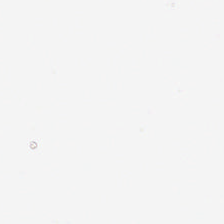Hematoxylin and eosin. Histology → empty background.
